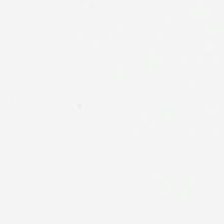H&E. This patch shows background (no tissue).
